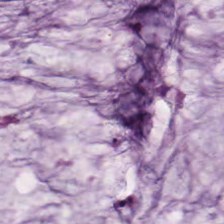Hematoxylin and eosin. Histology — extracellular mucin.
